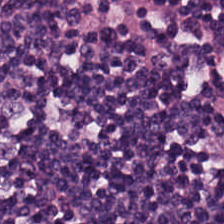H&E-stained tissue section.
This patch shows lymphocytes.
